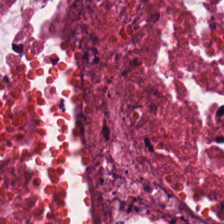H&E; 224×224 pixel tile.
Finding — cellular debris.
